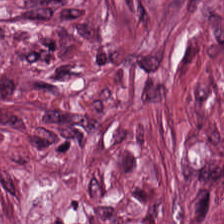Hematoxylin-and-eosin stained section — Predominantly tumor stroma.
